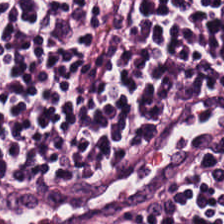Formalin-fixed paraffin-embedded section. H&E. Impression — lymphocytic infiltrate.
